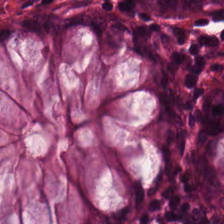Brightfield microscopy. Hematoxylin and eosin. 224×224 px tile.
Finding — normal colonic mucosa.
